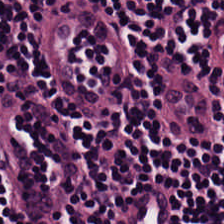H&E — Tissue: lymphocytic infiltrate.
